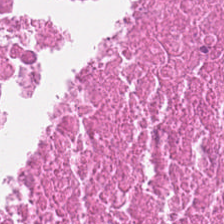Brightfield microscopy. Hematoxylin-and-eosin stained section — Predominant tissue = necrotic debris.
